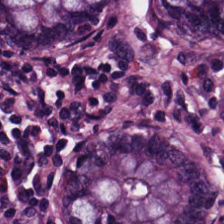0.5 microns per pixel. H&E stain — The tissue is normal colonic mucosa.
